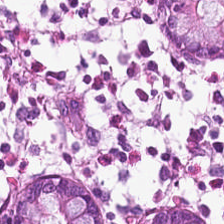Hematoxylin-and-eosin stained section. Tissue type: normal colon mucosa.
